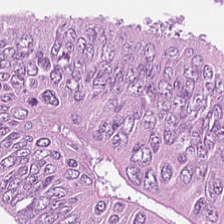H&E; brightfield; 0.5 µm/px.
This patch shows tumor epithelium.
